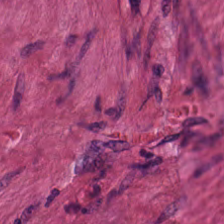Brightfield microscopy · H&E.
Showing muscularis.
